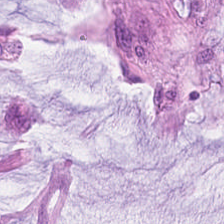Mucin.
